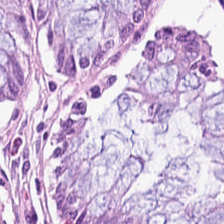Hematoxylin and eosin — {"tissue_type": "benign colonic mucosa"}
